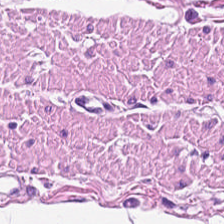224×224 px patch. Hematoxylin and eosin. Brightfield.
The tissue is smooth-muscle tissue.
